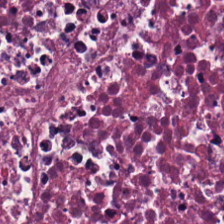WSI patch; H&E. Tissue type — debris.
